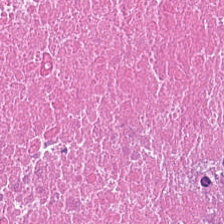224×224 px tile. 20× equivalent magnification. H&E — Necrotic debris.
